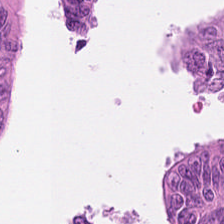H&E-stained section; the field shows colorectal adenocarcinoma epithelium.
